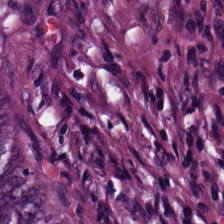H&E stain. 0.5 µm/px — Classification: colorectal adenocarcinoma epithelium.
